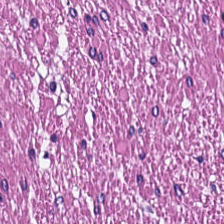Classification — smooth muscle.
